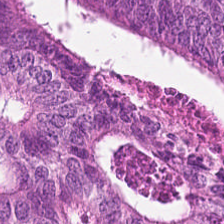Impression → adenocarcinoma.
